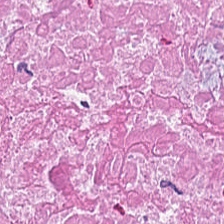Stain: H&E-stained tissue section.
Tile size: 224×224 pixel tile.
Acquisition: brightfield microscopy.
Classification: debris.
